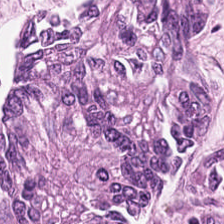FFPE tissue section. Hematoxylin-and-eosin stained section.
Q: What is shown in this field?
A: It is tumor epithelium.
